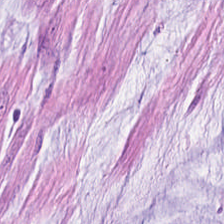Histology → mucin.
